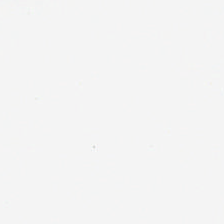Classification = no tissue.
